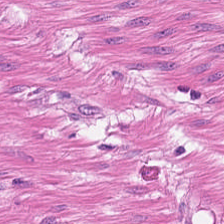Hematoxylin-and-eosin stained section.
Classification: smooth muscle.
